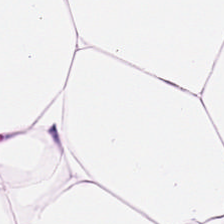H&E-stained tissue section — Tissue — adipose.
